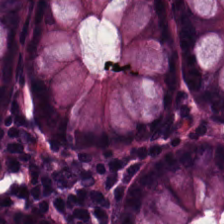Stain: H&E.
Tile size: 224×224 pixel tile.
Preparation: FFPE.
Tissue class: non-neoplastic colon mucosa.
